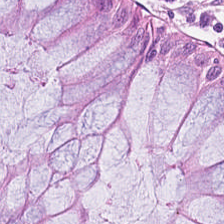H&E — Predominantly normal colon mucosa.
